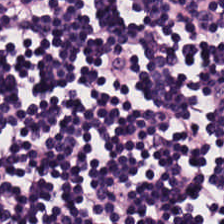H&E stain. Lymphocytic infiltrate.
